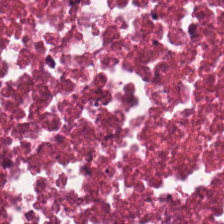H&E · 224×224 px tile · 20× equivalent magnification — {"tissue_type": "cellular debris"}
